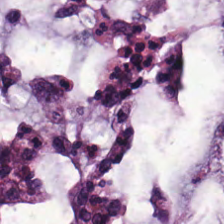Hematoxylin-and-eosin stained section. The predominant tissue is extracellular mucin.
